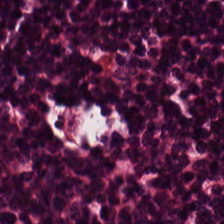Brightfield · 224×224 pixel tile · H&E stain — Predominantly lymphocyte aggregate.
